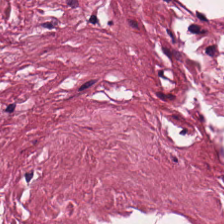Predominantly cancer-associated stroma.
